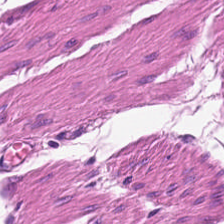Tissue type: smooth muscle.
